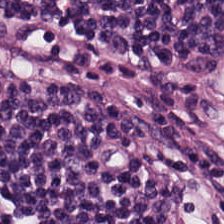Hematoxylin-and-eosin stained section — Lymphocytic infiltrate.
